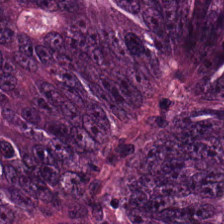H&E. FFPE — Tissue class: adenocarcinoma.
